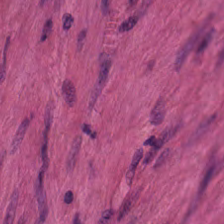Smooth-muscle tissue.
